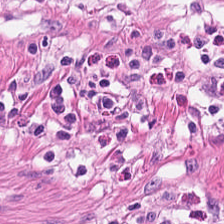H&E stain; 224×224 px patch; formalin-fixed paraffin-embedded section — Showing smooth muscle.
